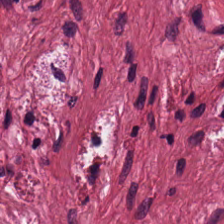Formalin-fixed paraffin-embedded section · H&E · 0.5 µm/px — Desmoplastic stroma.
